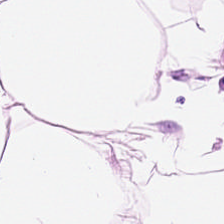H&E. Predominantly adipocytes.
